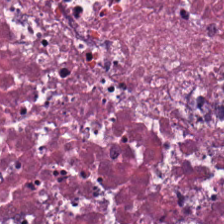224×224 px patch. H&E-stained tissue section.
Classification: cellular debris.
